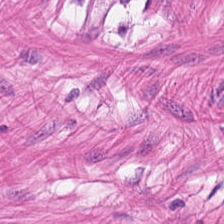Hematoxylin and eosin.
Q: Classify this patch.
A: It is smooth-muscle tissue.
